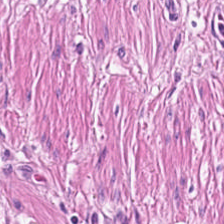Hematoxylin and eosin — Tissue type = smooth-muscle tissue.
